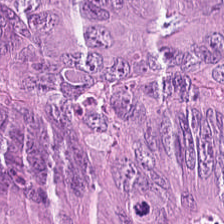0.5 microns per pixel · H&E · brightfield microscopy.
The predominant tissue is colorectal adenocarcinoma epithelium.
